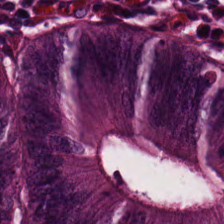Stain: hematoxylin and eosin.
Preparation: FFPE.
Predominant tissue: colorectal adenocarcinoma.
